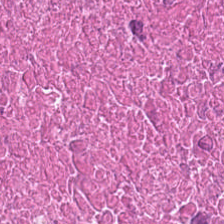H&E-stained section; the field shows necrotic debris.
